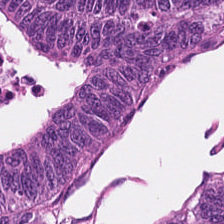Hematoxylin and eosin. The predominant tissue is colorectal adenocarcinoma.
